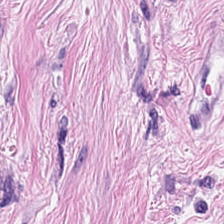Hematoxylin-and-eosin stained section.
The tissue here is tumor stroma.
